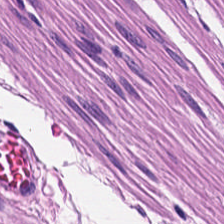H&E stain. Q: Classify this patch.
A: It is smooth-muscle tissue.
